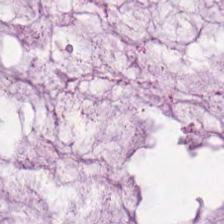Classification — mucin.
